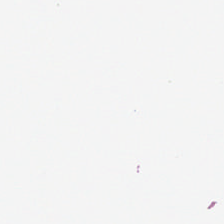Hematoxylin and eosin. Empty field — background.
